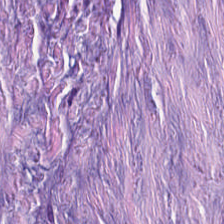Hematoxylin and eosin — Impression → cancer-associated stroma.
